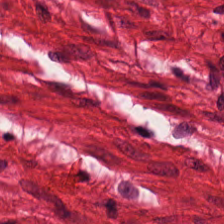Formalin-fixed paraffin-embedded section. Hematoxylin and eosin. Smooth-muscle tissue.
